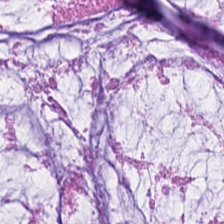Stain: hematoxylin-and-eosin stained section.
Predominant tissue: extracellular mucin.
